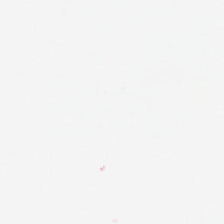Stain: hematoxylin-and-eosin stained section.
Classification: no tissue.
